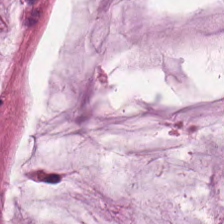H&E.
Q: Identify the tissue.
A: Mucin.
